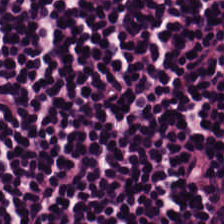Hematoxylin-and-eosin stained section — Predominantly lymphoid infiltrate.
